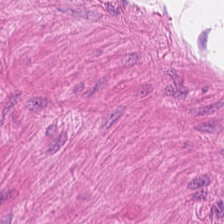Tissue: smooth-muscle tissue.
